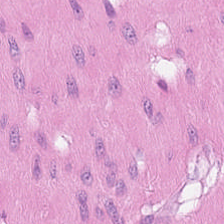This patch shows smooth-muscle tissue.
